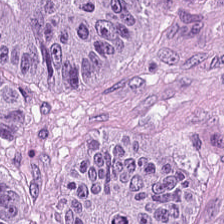Stain: H&E.
Tissue: malignant epithelium.
